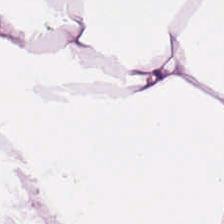FFPE tissue section · H&E-stained tissue section · 224×224 px tile. Classification — adipose.
